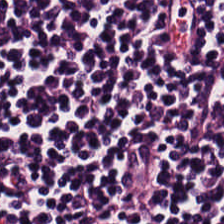H&E stain. Tissue type — lymphocytes.
